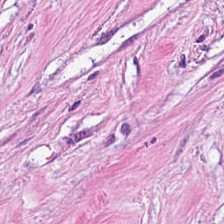H&E. Q: What is the predominant tissue type?
A: The field shows tumor-associated stroma.
